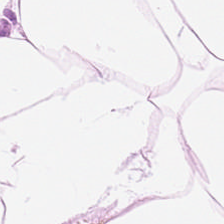FFPE · H&E.
Predominant tissue — adipocytes.
